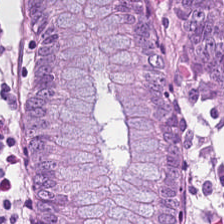Hematoxylin-and-eosin stained section — Showing normal colon mucosa.
